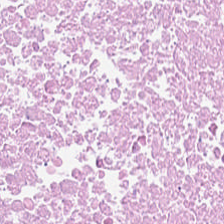Tissue class — necrotic debris.
